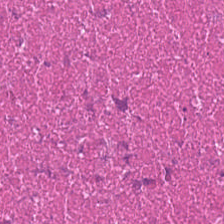224×224 pixel tile · H&E-stained tissue section · whole-slide-image patch. Predominantly cellular debris.
